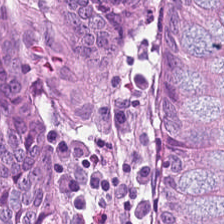H&E-stained tissue section showing normal colon mucosa.
